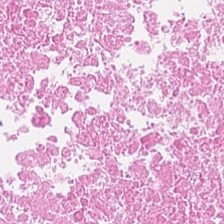0.5 µm/px. H&E stain.
{"tissue_type": "debris"}
